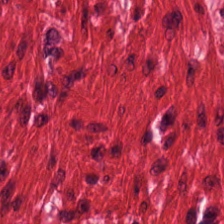Hematoxylin and eosin · 20× equivalent magnification. This field is muscularis.
